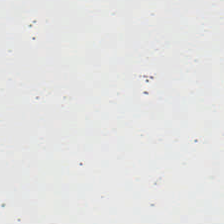This field is background (no tissue).
